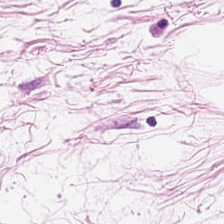Predominant tissue = adipocytes.
